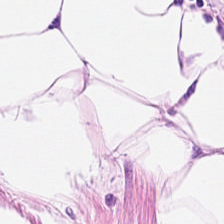H&E-stained tissue section.
Predominantly adipose tissue.
